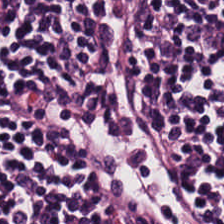0.5 microns per pixel. H&E stain.
Tissue class = lymphocytes.
